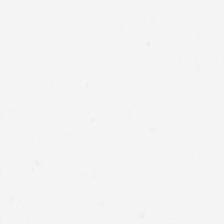H&E stain · 224×224 pixel tile — Q: Classify this patch.
A: The field shows no tissue.
